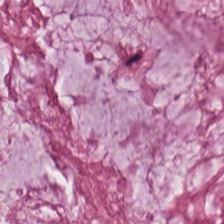0.5 microns per pixel. H&E stain. This patch shows mucus.
